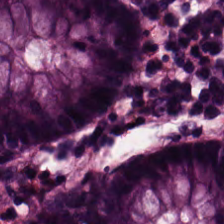H&E-stained tissue section.
Finding — normal colonic mucosa.
